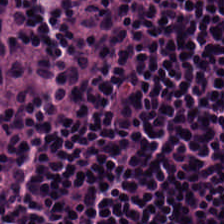Stain: H&E-stained tissue section.
Tile size: 224×224 pixel tile.
Preparation: formalin-fixed paraffin-embedded section.
Tissue class: lymphocyte aggregate.
